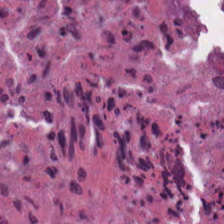H&E patch showing necrotic debris.
